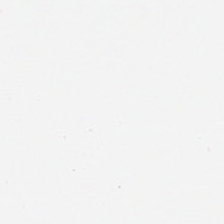Hematoxylin and eosin. Whole-slide-image patch.
Q: What is shown here?
A: Empty background.
